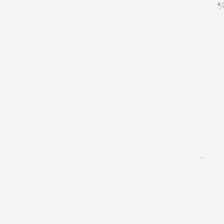Hematoxylin-and-eosin stained section.
The classification is background.
